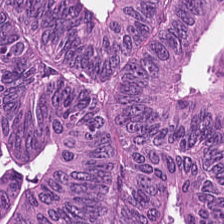Q: Classify this patch.
A: This is colorectal adenocarcinoma.
